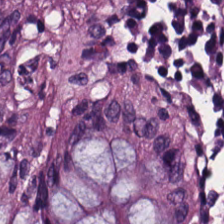Hematoxylin and eosin · FFPE tissue section — {"tissue_type": "normal colonic mucosa"}
